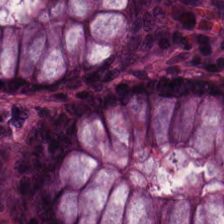Hematoxylin-and-eosin stained section. Predominant tissue: non-neoplastic colon mucosa.
